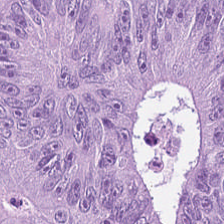H&E — This field is colorectal adenocarcinoma epithelium.
